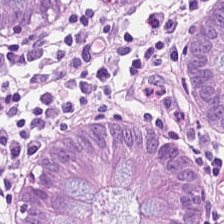20× equivalent magnification · H&E-stained tissue section. Normal colon mucosa.
